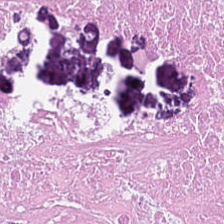H&E.
Tissue = cellular debris.
